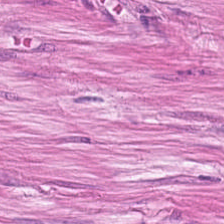Stain: hematoxylin-and-eosin stained section.
Classification: smooth-muscle tissue.
